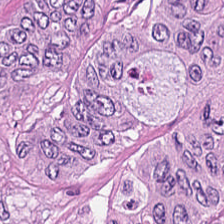0.5 µm per pixel. H&E-stained tissue section. Q: What is the predominant tissue type?
A: This is colorectal adenocarcinoma epithelium.
